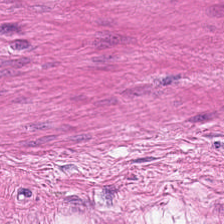Hematoxylin and eosin — This field is smooth-muscle tissue.
